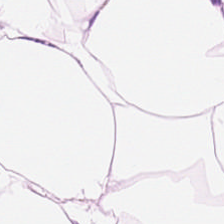Stain: hematoxylin and eosin.
Resolution: 0.5 µm/px.
Tile size: 224×224 pixel tile.
Predominant tissue: adipocytes.
